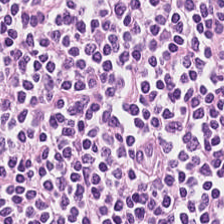Stain: H&E-stained tissue section.
Tissue class: lymphocyte aggregate.
